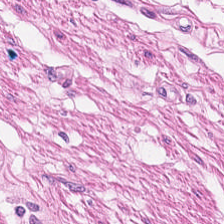Brightfield · hematoxylin and eosin — This patch shows muscularis.
